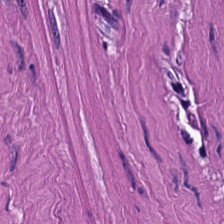Tissue class = smooth-muscle tissue.
